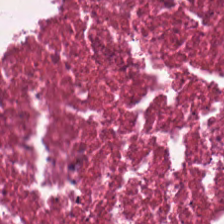WSI patch · H&E.
Predominant tissue — necrotic debris.
